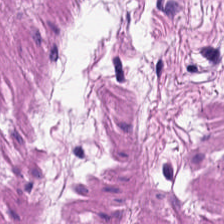0.5 microns per pixel. H&E-stained tissue section.
The classification is smooth-muscle tissue.
